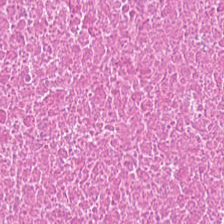Stain: H&E.
Predominant tissue: cellular debris.
